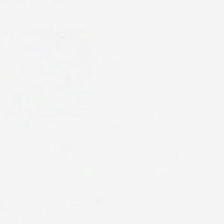224×224 px patch; hematoxylin and eosin — No tissue present; background only.
